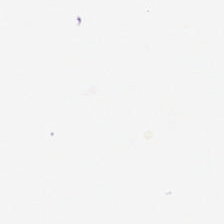Q: What is shown here?
A: Empty background.
